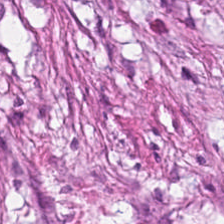H&E stain; FFPE. This field is desmoplastic stroma.
